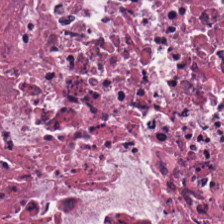The tissue here is debris.
